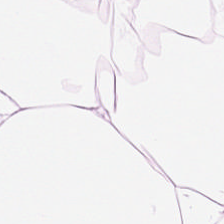H&E stain.
Predominantly fat tissue.
